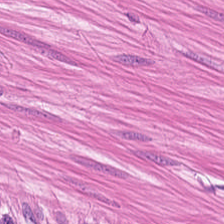Stain: H&E.
Resolution: 0.5 microns per pixel.
Predominant tissue: muscularis.
